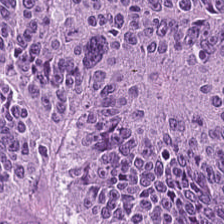Q: Identify the tissue.
A: This is colorectal adenocarcinoma epithelium.
